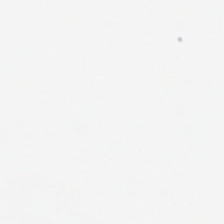The classification is background (no tissue).
